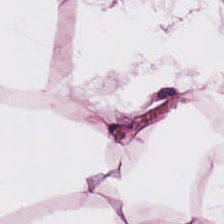Hematoxylin-and-eosin stained section — Histology → adipose.
